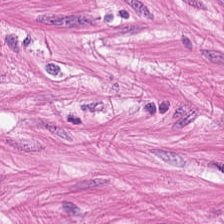Hematoxylin and eosin. Histology — muscularis.
